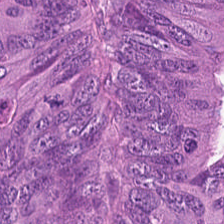H&E-stained tissue section — This patch shows malignant epithelium.
